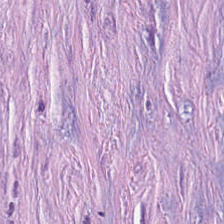Hematoxylin and eosin; brightfield.
This field is cancer-associated stroma.
